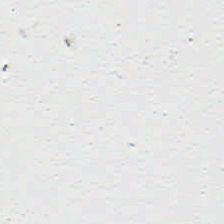H&E.
This patch shows no tissue.
